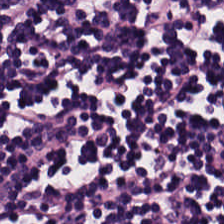H&E.
Predominantly lymphocytes.
